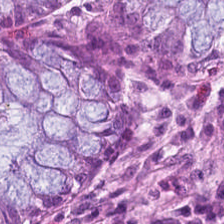0.5 µm/px. Hematoxylin and eosin. Formalin-fixed paraffin-embedded section. Impression — non-neoplastic colon mucosa.
